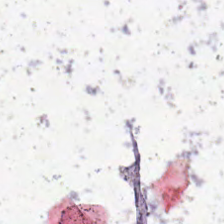Stain: H&E stain.
Acquisition: brightfield.
Content: background (no tissue).
